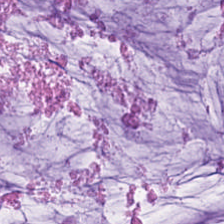H&E stain. Q: What does this patch show?
A: This is mucin.
